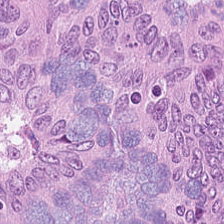H&E — The tissue here is tumor epithelium.
